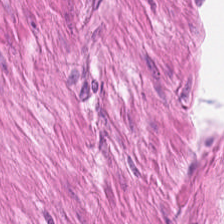224×224 px patch · hematoxylin and eosin.
Q: What is the predominant tissue type?
A: Smooth-muscle tissue.
